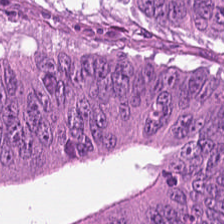Brightfield microscopy. H&E stain — Colorectal adenocarcinoma.
